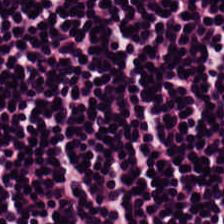H&E; FFPE. Q: What tissue is shown?
A: This is lymphocyte aggregate.
